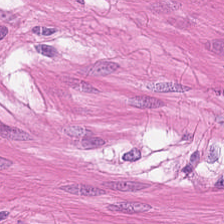This patch shows smooth-muscle tissue.
